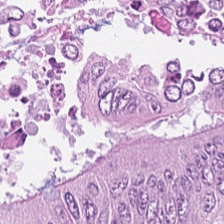Q: What tissue type is shown here?
A: Malignant epithelium.
